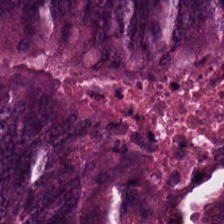Predominant tissue — malignant epithelium.
